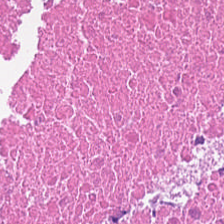H&E-stained tissue section — Q: What type of tissue is this?
A: It is necrotic debris.
